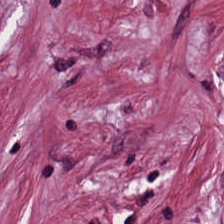0.5 µm/px · hematoxylin-and-eosin stained section — This field is tumor-associated stroma.
